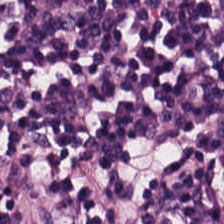Q: What tissue type is shown here?
A: It is lymphocytes.
